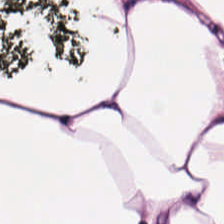Tissue type: adipose.
